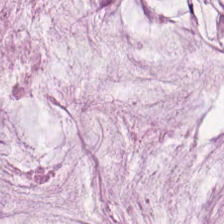Q: What tissue type is shown here?
A: The field shows mucin.
